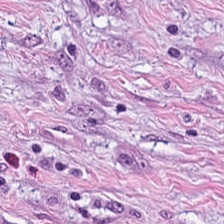H&E — Impression — desmoplastic stroma.
